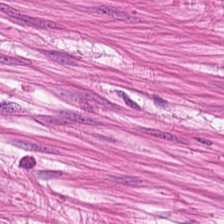Histology — muscularis.
